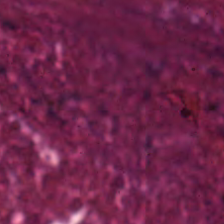Stain: hematoxylin-and-eosin stained section.
Tile size: 224×224 px tile.
Predominant tissue: debris.
